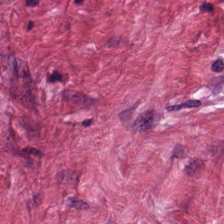Hematoxylin and eosin.
Desmoplastic stroma.
